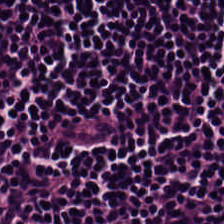H&E — The classification is lymphocytes.
